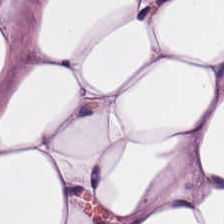H&E — Finding → fat tissue.
